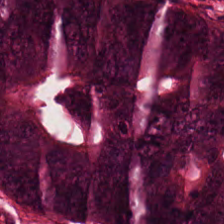0.5 microns per pixel; 224×224 pixel tile; hematoxylin and eosin.
The predominant tissue is malignant epithelium.
